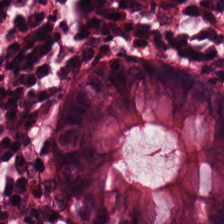Brightfield microscopy · 0.5 microns per pixel · H&E — Q: Identify the tissue.
A: This is normal colonic mucosa.
